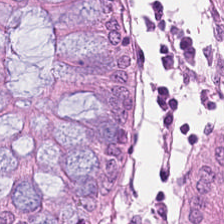Showing normal colonic mucosa.
